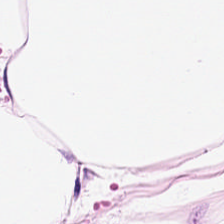Histology → adipose.
